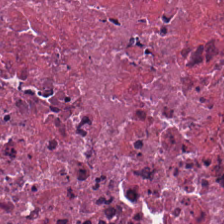H&E · FFPE tissue section.
{"tissue_type": "debris"}
